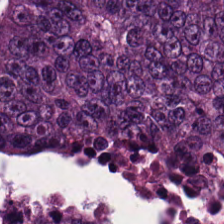0.5 µm per pixel · hematoxylin and eosin · FFPE.
Colorectal adenocarcinoma epithelium.
